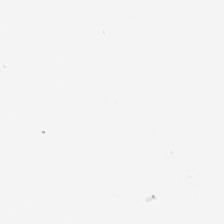Stain: hematoxylin-and-eosin stained section.
Field content: background.
